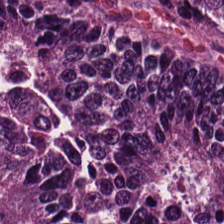Hematoxylin-and-eosin stained section.
{"tissue_type": "colorectal adenocarcinoma"}
